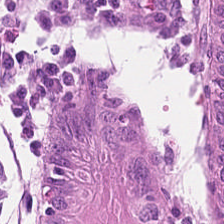Q: What tissue type is shown here?
A: It is normal colon mucosa.
